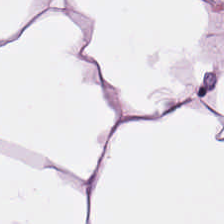Hematoxylin and eosin · FFPE tissue section · brightfield. Predominantly fat tissue.
